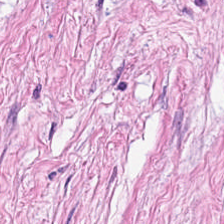Hematoxylin-and-eosin stained section — Q: Identify the tissue.
A: Desmoplastic stroma.
